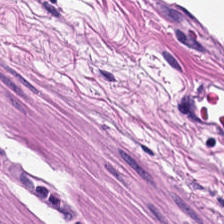Q: Classify this patch.
A: The field shows muscularis.
